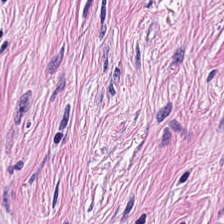Hematoxylin and eosin.
{"tissue_type": "cancer-associated stroma"}
